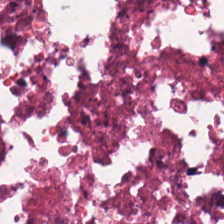224×224 pixel tile · hematoxylin-and-eosin stained section — Tissue type: necrotic debris.
